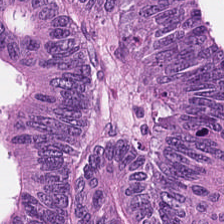Hematoxylin-and-eosin stained section · whole-slide-image patch — Tissue type — colorectal adenocarcinoma.
